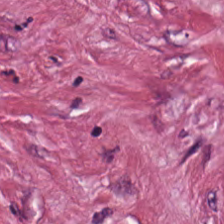H&E-stained tissue section. Brightfield microscopy. 0.5 µm per pixel — {"tissue_type": "cancer-associated stroma"}
